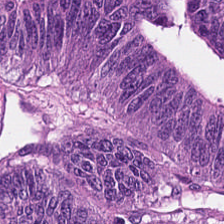H&E stain.
Histology → adenocarcinoma.
